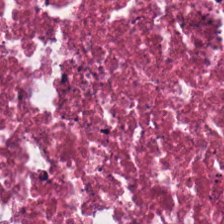H&E stain — Q: What tissue is shown?
A: Debris.
